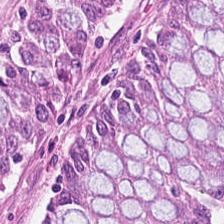H&E stain.
Normal colon mucosa.
